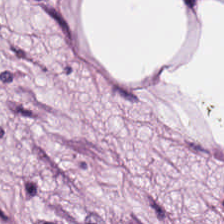H&E-stained tissue section. Adipose tissue.
